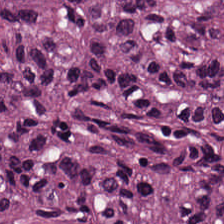H&E stain. Predominant tissue = malignant epithelium.
